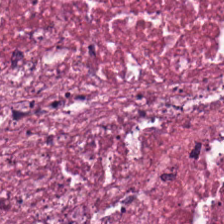H&E. FFPE tissue section.
Q: What is the predominant tissue type?
A: This is cellular debris.
